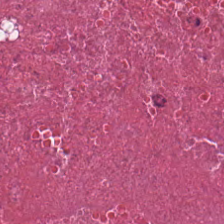H&E-stained tissue section showing debris.
